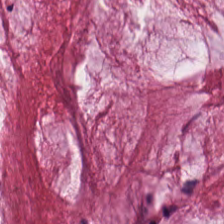H&E — extracellular mucin.
